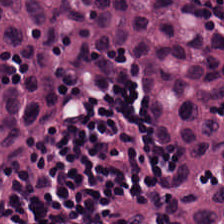Stain: H&E-stained tissue section.
Classification: lymphocytic infiltrate.
